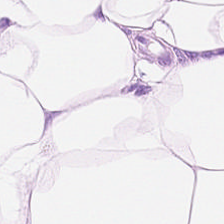0.5 µm per pixel. H&E — Tissue class: adipose tissue.
